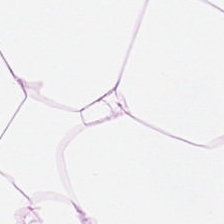H&E.
Predominant tissue: adipose.
